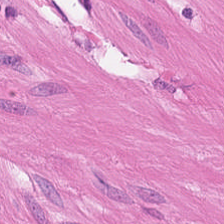H&E — This field is smooth-muscle tissue.
